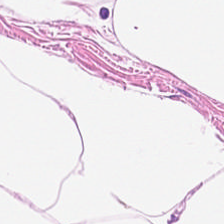Hematoxylin and eosin — The predominant tissue is adipose.
